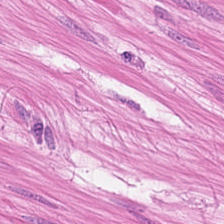Hematoxylin-and-eosin stained section — Q: What does this patch show?
A: The field shows smooth muscle.
